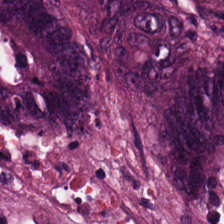Formalin-fixed paraffin-embedded section. Hematoxylin-and-eosin stained section. Histology — colorectal adenocarcinoma epithelium.
